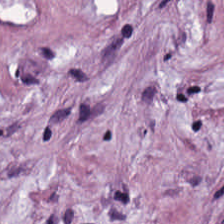Stain: hematoxylin and eosin.
Tissue type: cancer-associated stroma.
